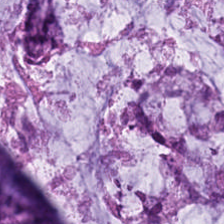Histology — extracellular mucin.
